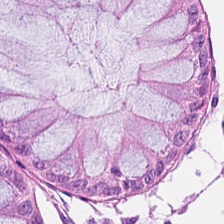Histology — benign colonic mucosa.
